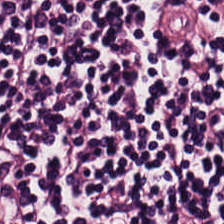H&E.
Q: Identify the tissue.
A: Lymphocyte aggregate.
